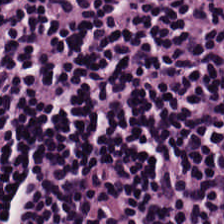Stain: H&E stain.
Tissue type: lymphocytic infiltrate.
